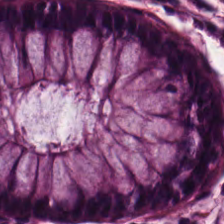Whole-slide-image patch. FFPE tissue section. H&E-stained tissue section. {"tissue_type": "benign colonic mucosa"}
